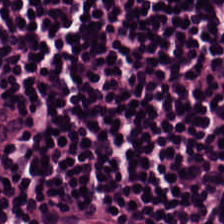Stain: hematoxylin-and-eosin stained section.
Tissue type: lymphocyte aggregate.
